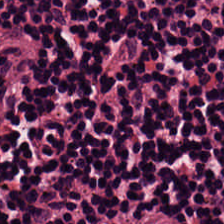Hematoxylin and eosin; 224×224 px patch; FFPE tissue section.
Impression → lymphocytes.
